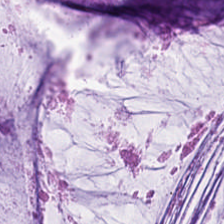Hematoxylin-and-eosin stained section. Brightfield microscopy.
This field is mucus.
